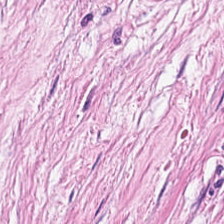Stain: hematoxylin-and-eosin stained section.
Preparation: FFPE tissue section.
Acquisition: brightfield.
Predominant tissue: desmoplastic stroma.
